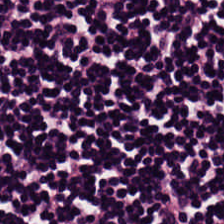224×224 px tile · hematoxylin and eosin. Lymphocytes.
